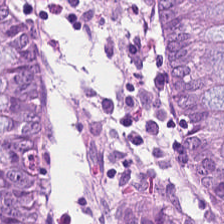{"tissue_type": "normal colon mucosa"}
